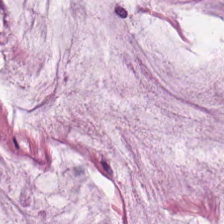H&E stain — Extracellular mucin.
